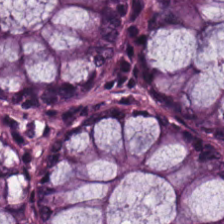Hematoxylin and eosin. FFPE tissue section. Brightfield.
Q: What tissue type is shown here?
A: Normal colon mucosa.
